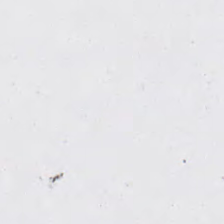Stain: H&E-stained tissue section.
Tile size: 224×224 pixel tile.
Classification: background (no tissue).
